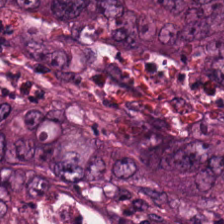H&E stain; brightfield.
{"tissue_type": "colorectal adenocarcinoma epithelium"}
